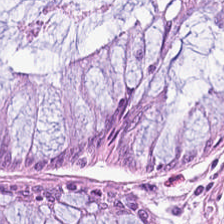224×224 px tile. H&E-stained tissue section — Normal colonic mucosa.
